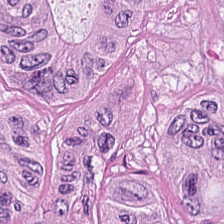H&E — Q: What type of tissue is this?
A: This is malignant epithelium.
